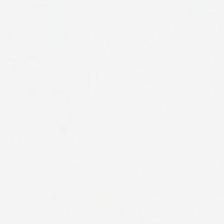224×224 px patch; H&E stain — Empty field — background (no tissue).
